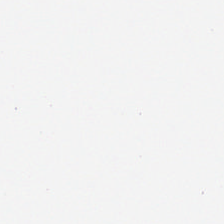Hematoxylin and eosin — Q: Classify this patch.
A: No tissue.
